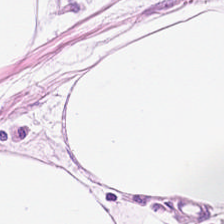Brightfield microscopy. Hematoxylin and eosin — Tissue class = adipose tissue.
